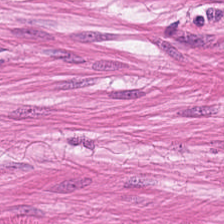H&E stain. WSI patch.
Q: What does this patch show?
A: This is muscularis.
